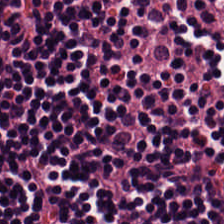The tissue is lymphocytic infiltrate.
